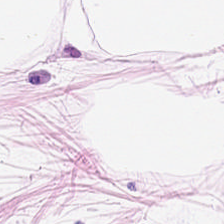Impression — adipose.
